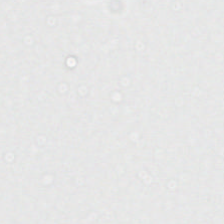Impression — background.
